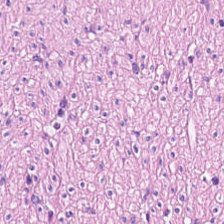Classification: muscularis.
